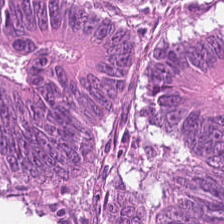Stain: H&E stain.
Resolution: 20× equivalent magnification.
Tile size: 224×224 pixel tile.
Predominant tissue: adenocarcinoma.
